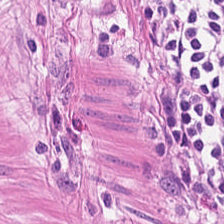Tissue type = smooth-muscle tissue.
